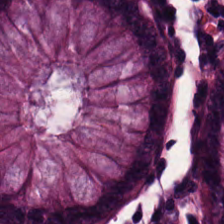Hematoxylin-and-eosin stained section. This patch shows non-neoplastic colon mucosa.
